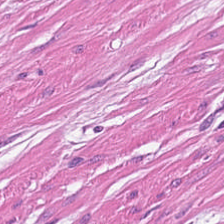H&E.
Tissue type — muscularis.
